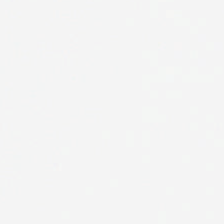20× equivalent magnification; H&E stain; FFPE tissue section.
Impression → empty background.
